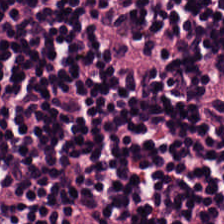Predominant tissue = lymphocyte aggregate.
